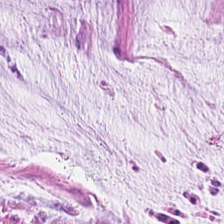Formalin-fixed paraffin-embedded section; H&E-stained tissue section.
{"tissue_type": "mucus"}
